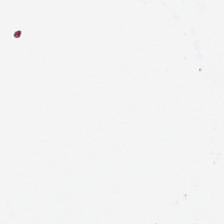Brightfield; formalin-fixed paraffin-embedded section; H&E.
The content is empty background.
